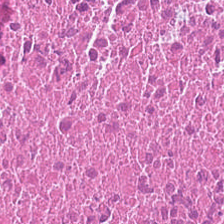Hematoxylin-and-eosin stained section. Tissue = debris.
